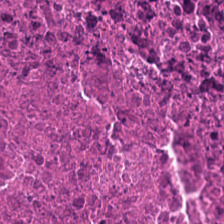Hematoxylin-and-eosin stained section — The tissue here is cellular debris.
